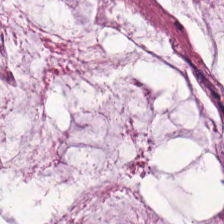H&E stain.
Tissue type: mucus.
